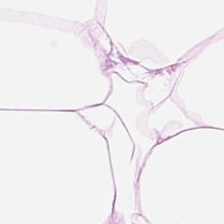This patch shows adipose tissue.
